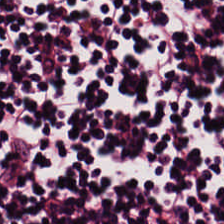H&E.
The tissue here is lymphocyte aggregate.
